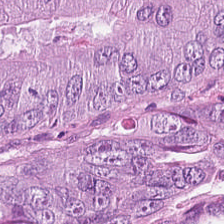Hematoxylin and eosin — Predominantly malignant epithelium.
